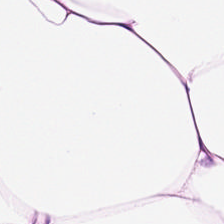H&E-stained tissue section — Tissue type: fat tissue.
